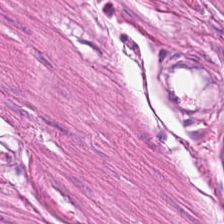H&E stain; FFPE; WSI patch — The predominant tissue is muscularis.
